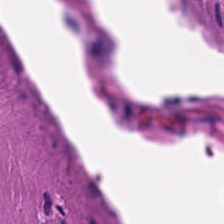Whole-slide-image patch. H&E. {"tissue_type": "smooth-muscle tissue"}
